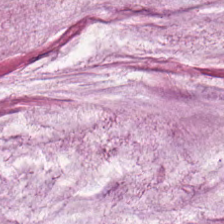Brightfield microscopy · H&E-stained tissue section · 0.5 µm per pixel — Tissue class: mucus.
